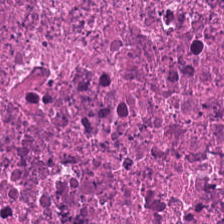0.5 µm per pixel. H&E-stained tissue section. Classification — necrotic debris.
